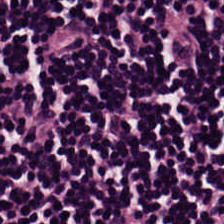Hematoxylin-and-eosin stained section · FFPE. The predominant tissue is lymphocyte aggregate.
